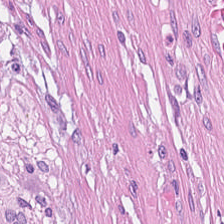H&E-stained tissue section.
Tumor stroma.
